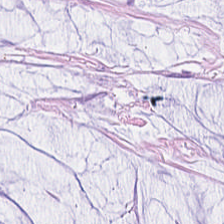H&E. Predominant tissue = extracellular mucin.
